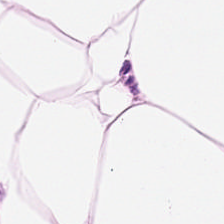H&E stain; brightfield; 0.5 µm per pixel. Predominantly adipocytes.
